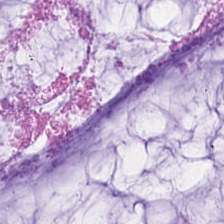The tissue here is extracellular mucin.
